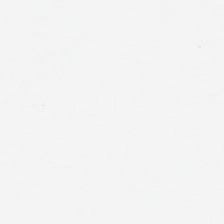Stain: hematoxylin-and-eosin stained section.
Content: no tissue.
